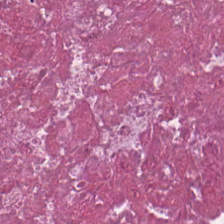H&E — Q: Identify the tissue.
A: Necrotic debris.
